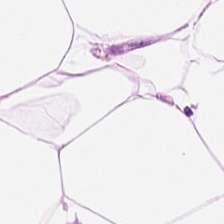FFPE tissue section; hematoxylin and eosin — Tissue type: adipose.
